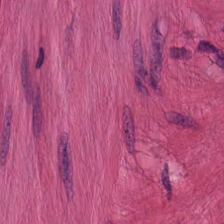Showing smooth-muscle tissue.
